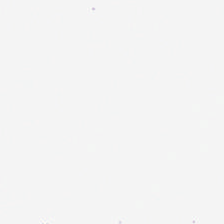Hematoxylin and eosin · WSI patch.
{"content": "background"}
